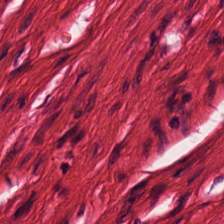Q: What is shown here?
A: This is smooth muscle.
